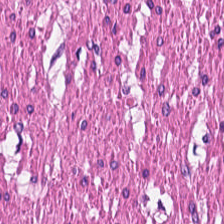Stain: H&E.
Predominant tissue: smooth-muscle tissue.
